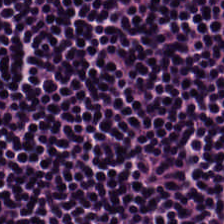Finding — lymphocyte aggregate.
